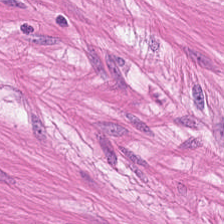Hematoxylin and eosin. {"tissue_type": "smooth muscle"}
